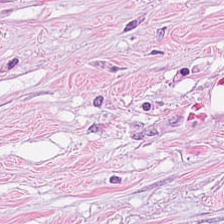H&E stain. 0.5 µm/px — {"tissue_type": "cancer-associated stroma"}
